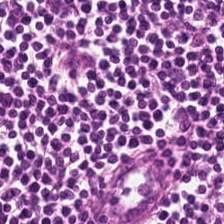Stain: hematoxylin and eosin.
Resolution: 0.5 µm per pixel.
Preparation: FFPE.
Tissue: lymphocytic infiltrate.
